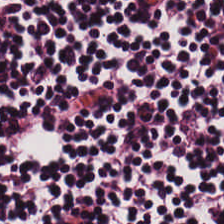Q: What is shown in this field?
A: It is lymphocytes.
